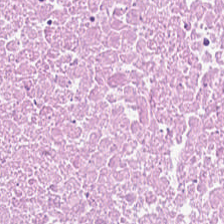Q: What tissue type is shown here?
A: Cellular debris.
